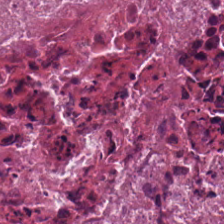H&E — Necrotic debris.
